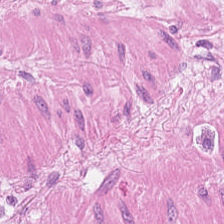224×224 px patch; 0.5 microns per pixel; H&E stain — Q: What tissue type is shown here?
A: The field shows muscularis.
